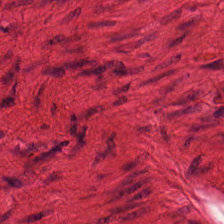Stain: H&E-stained tissue section.
Classification: muscularis.
